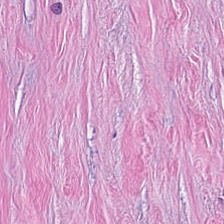Showing tumor-associated stroma.
